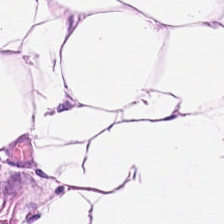H&E — Tissue type = adipose tissue.
